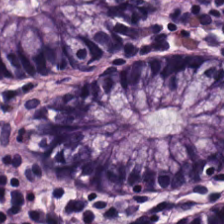H&E. FFPE. Tissue class = benign colonic mucosa.
